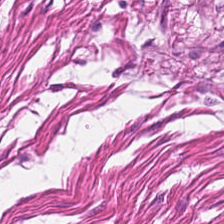H&E-stained tissue section showing muscularis.
